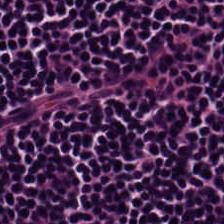Brightfield microscopy; H&E-stained tissue section.
Q: Identify the tissue.
A: This is lymphocytes.
